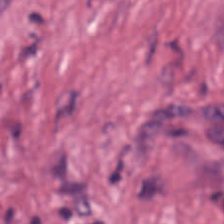Predominantly tumor stroma.
